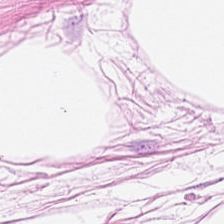Hematoxylin-and-eosin stained section · 0.5 microns per pixel.
Classification: adipocytes.
